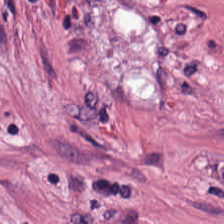Hematoxylin and eosin.
Histology — tumor stroma.
